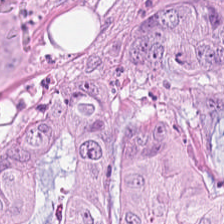The tissue class is colorectal adenocarcinoma.
